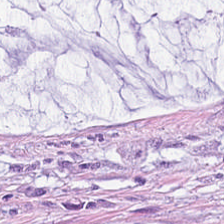H&E-stained tissue section.
Showing extracellular mucin.
